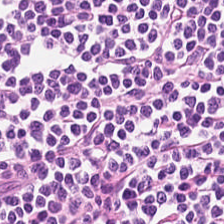Hematoxylin-and-eosin stained section — Impression → lymphocyte aggregate.
